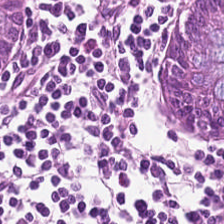Predominantly non-neoplastic colon mucosa.
